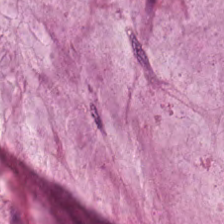H&E · brightfield microscopy. Q: What does this patch show?
A: This is mucus.
